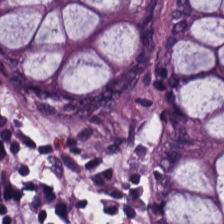Predominant tissue: non-neoplastic colon mucosa.
